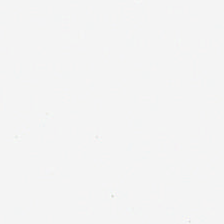H&E stain.
Q: What is shown here?
A: It is background (no tissue).
